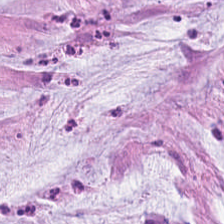Tissue — extracellular mucin.
